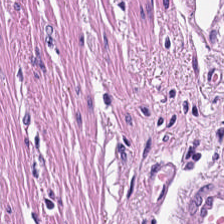Finding → muscularis.
